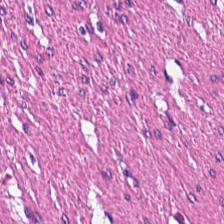H&E-stained tissue section — Histology — muscularis.
